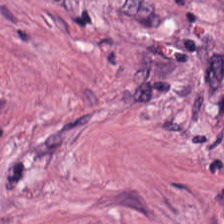0.5 µm/px. 224×224 pixel tile. Hematoxylin-and-eosin stained section. Predominantly tumor stroma.
